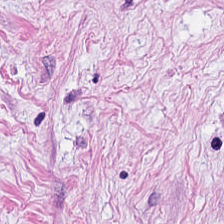Brightfield microscopy · 20× equivalent magnification · H&E stain. The predominant tissue is cancer-associated stroma.
